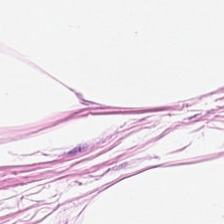Stain: H&E-stained tissue section.
Tissue: adipocytes.
